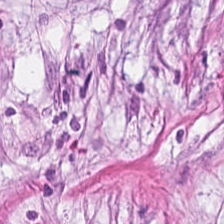Stain: H&E.
Resolution: 0.5 µm per pixel.
Tissue class: desmoplastic stroma.
